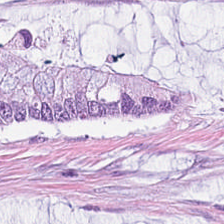The tissue is mucus.
